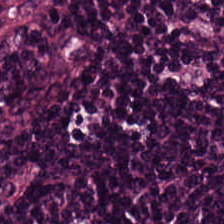Stain: H&E-stained tissue section.
Predominant tissue: lymphocyte aggregate.
